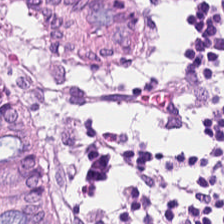Hematoxylin and eosin. 0.5 microns per pixel.
Tissue type: non-neoplastic colon mucosa.
